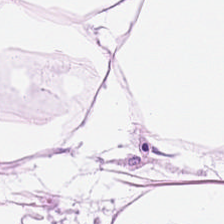Hematoxylin-and-eosin stained section; brightfield; FFPE.
Tissue type = adipose tissue.
